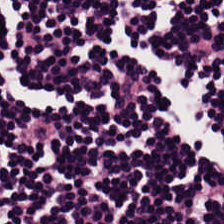H&E — Q: Identify the tissue.
A: This is lymphocytic infiltrate.
